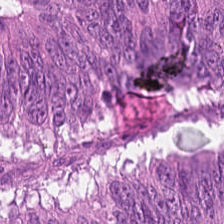Whole-slide-image patch · H&E stain. The tissue here is malignant epithelium.
